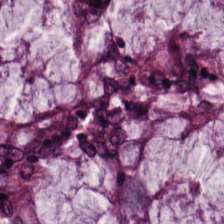Hematoxylin and eosin. Tissue type: benign colonic mucosa.
